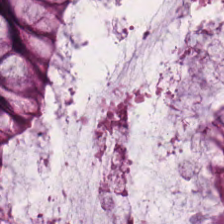H&E stain. Showing non-neoplastic colon mucosa.
